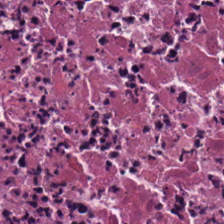Hematoxylin-and-eosin stained section. 224×224 px tile — Tissue: necrotic debris.
